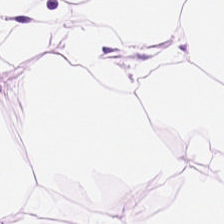Hematoxylin-and-eosin stained section — The tissue here is adipocytes.
